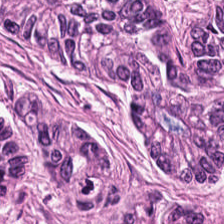H&E; formalin-fixed paraffin-embedded section. This patch shows tumor epithelium.
